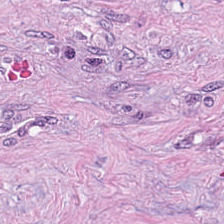Predominant tissue: desmoplastic stroma.
